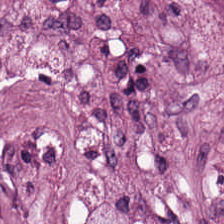The tissue here is desmoplastic stroma.
